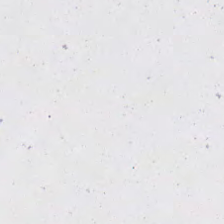H&E stain; 224×224 pixel tile; 20× equivalent magnification — {"content": "empty background"}
